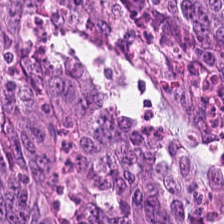Predominant tissue: colorectal adenocarcinoma.
